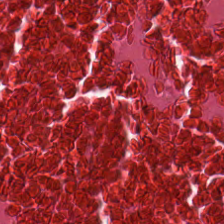Hematoxylin-and-eosin stained section. Histology — cellular debris.
